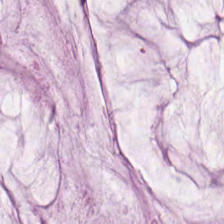Hematoxylin and eosin · 0.5 µm/px · 224×224 pixel tile.
Classification — mucin.
